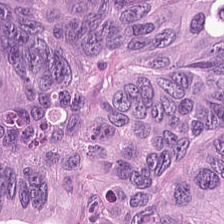The tissue here is colorectal adenocarcinoma epithelium.
